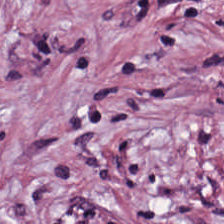Stain: hematoxylin-and-eosin stained section.
Predominant tissue: desmoplastic stroma.
